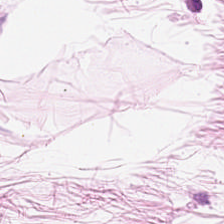FFPE tissue section · hematoxylin and eosin — Finding — adipose tissue.
